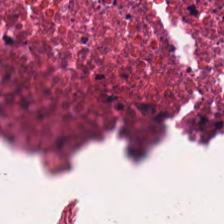Tissue class = cellular debris.
